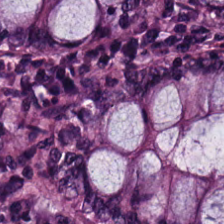Hematoxylin-and-eosin stained section. Q: Classify this patch.
A: The field shows benign colonic mucosa.
